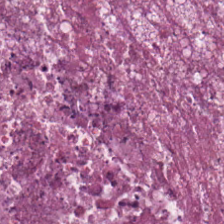Hematoxylin and eosin — Tissue type: debris.
